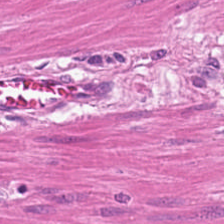Q: What is shown in this field?
A: It is smooth muscle.
